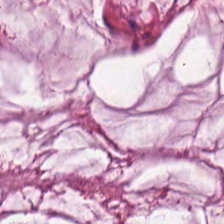Stain: hematoxylin-and-eosin stained section.
Preparation: formalin-fixed paraffin-embedded section.
Acquisition: brightfield microscopy.
Predominant tissue: extracellular mucin.
